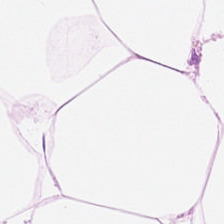H&E-stained tissue section — Tissue type = adipose tissue.
